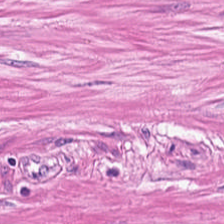H&E stain · formalin-fixed paraffin-embedded section.
{"tissue_type": "smooth muscle"}
